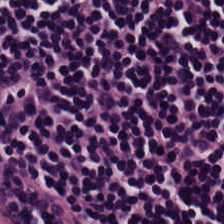Brightfield microscopy · hematoxylin-and-eosin stained section · formalin-fixed paraffin-embedded section. Tissue type: lymphoid infiltrate.
